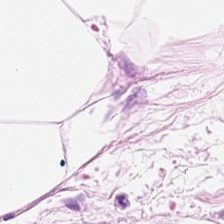Stain: hematoxylin-and-eosin stained section.
Tile size: 224×224 pixel tile.
Tissue: adipocytes.
